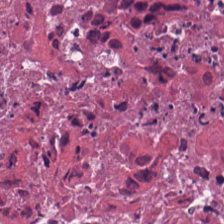Q: What tissue type is shown here?
A: It is necrotic debris.
